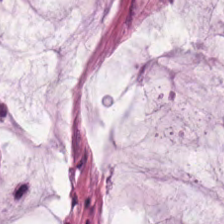H&E stain. Formalin-fixed paraffin-embedded section. Q: What tissue is shown?
A: Mucin.
